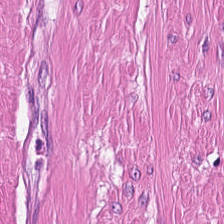20× equivalent magnification. H&E.
Finding → muscularis.
